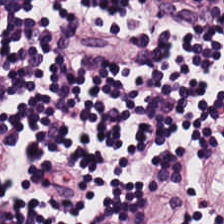Predominant tissue: lymphocytic infiltrate.
